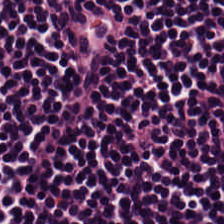Whole-slide-image patch · H&E stain — Q: Classify this patch.
A: It is lymphocytic infiltrate.
